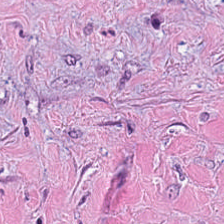224×224 px tile · H&E-stained tissue section — {"tissue_type": "desmoplastic stroma"}
